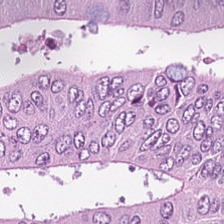Hematoxylin-and-eosin stained section — Tumor epithelium.
